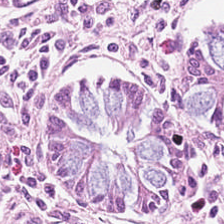Hematoxylin and eosin.
This field is non-neoplastic colon mucosa.
